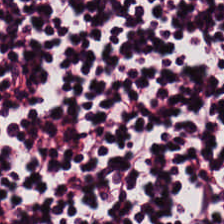H&E-stained tissue section. Histology — lymphocyte aggregate.
